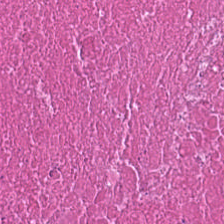Hematoxylin and eosin — The predominant tissue is debris.
